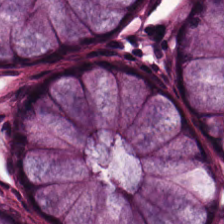224×224 pixel tile. H&E-stained tissue section.
The tissue here is normal colon mucosa.
